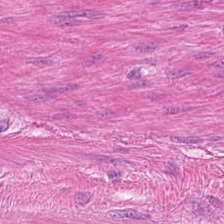Hematoxylin-and-eosin stained section · FFPE · 20× equivalent magnification.
Q: What is the predominant tissue type?
A: Smooth-muscle tissue.
